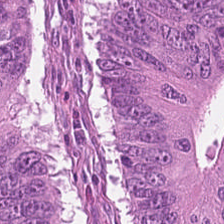H&E-stained tissue section.
Showing malignant epithelium.
